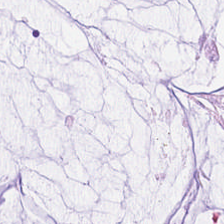The tissue here is extracellular mucin.
